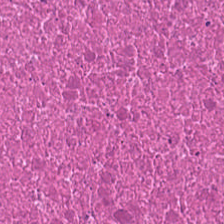Hematoxylin and eosin — Histology — debris.
